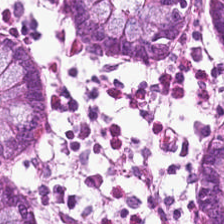Stain: H&E.
Acquisition: brightfield.
Preparation: FFPE tissue section.
Tissue: normal colonic mucosa.
